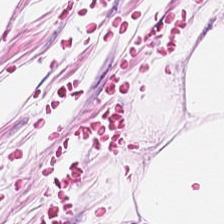224×224 px patch · hematoxylin and eosin — Q: What tissue is shown?
A: It is adipose.
